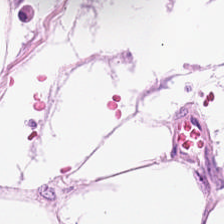FFPE tissue section. Hematoxylin and eosin.
Q: Identify the tissue.
A: It is adipose tissue.
